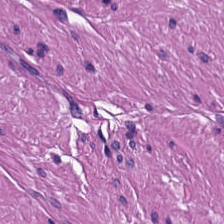FFPE · 20× equivalent magnification · H&E — Showing smooth-muscle tissue.
